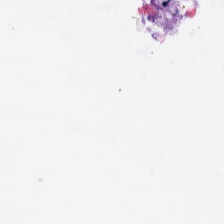Hematoxylin and eosin — The field content is background (no tissue).
